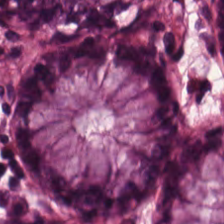Q: What is the predominant tissue type?
A: This is non-neoplastic colon mucosa.
